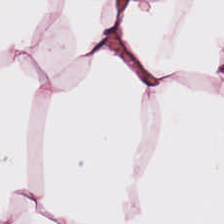Stain: hematoxylin-and-eosin stained section.
Resolution: 20× equivalent magnification.
Tissue class: adipose tissue.
